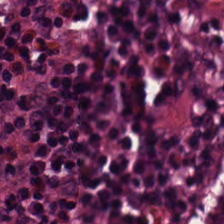Stain: H&E.
Acquisition: whole-slide-image patch.
Tissue class: benign colonic mucosa.
